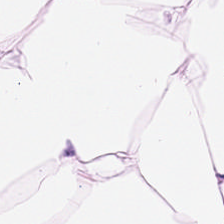224×224 pixel tile. H&E. 0.5 µm/px — Impression → adipose tissue.
